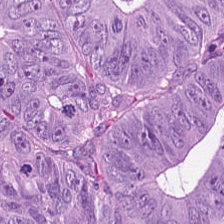FFPE. Hematoxylin-and-eosin stained section. The tissue here is tumor epithelium.
